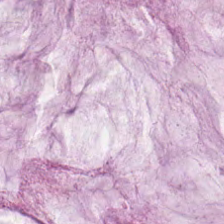0.5 µm/px · 224×224 px tile · hematoxylin-and-eosin stained section. {"tissue_type": "extracellular mucin"}
